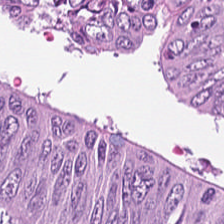Stain: hematoxylin and eosin.
Tissue type: colorectal adenocarcinoma epithelium.
